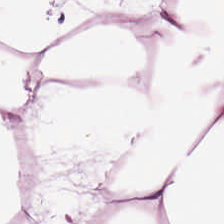H&E-stained tissue section. 0.5 microns per pixel.
{"tissue_type": "adipocytes"}
